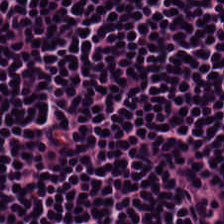Hematoxylin and eosin.
Q: What does this patch show?
A: Lymphocytes.
